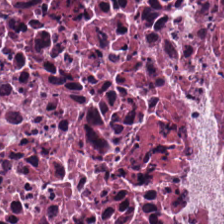Stain: H&E-stained tissue section.
Tissue class: necrotic debris.
